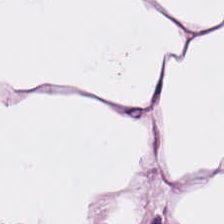H&E-stained tissue section; whole-slide-image patch. This patch shows adipose tissue.
